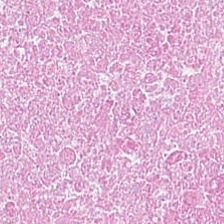Hematoxylin and eosin — This patch shows cellular debris.
